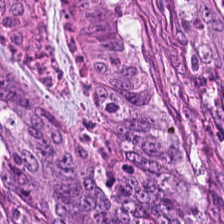224×224 px tile · H&E stain · WSI patch.
Predominant tissue — adenocarcinoma.
